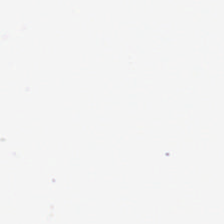Background (no tissue).
